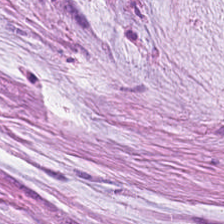Stain: hematoxylin and eosin.
Classification: mucus.
